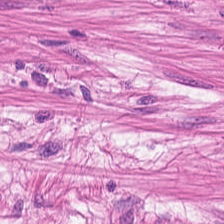H&E stain; 224×224 pixel tile. This field is smooth-muscle tissue.
